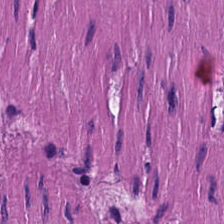Tissue = smooth-muscle tissue.
